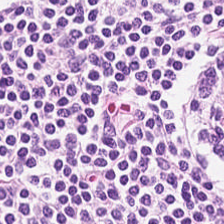This field is lymphocytes.
